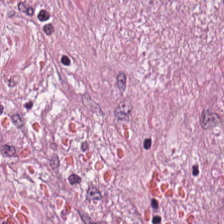Hematoxylin and eosin. 20× equivalent magnification. This patch shows tumor stroma.
